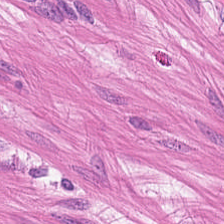Hematoxylin-and-eosin stained section. Predominant tissue: smooth muscle.
